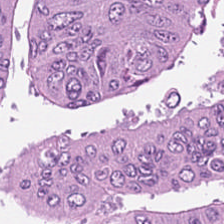H&E-stained tissue section. WSI patch. {"tissue_type": "colorectal adenocarcinoma"}
